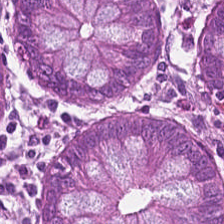Stain: H&E stain.
Predominant tissue: normal colonic mucosa.
